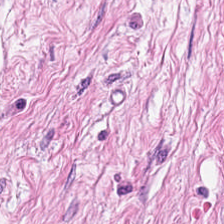H&E — cancer-associated stroma.
